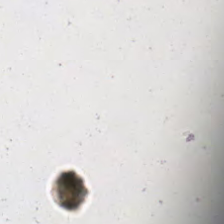FFPE; 20× equivalent magnification; hematoxylin-and-eosin stained section.
The classification is empty background.
